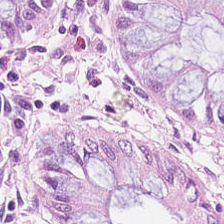Hematoxylin and eosin. This field is normal colonic mucosa.
